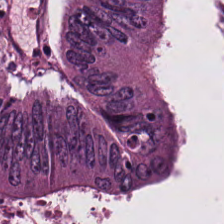WSI patch · H&E — The predominant tissue is colorectal adenocarcinoma epithelium.
